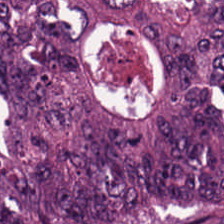Brightfield; hematoxylin-and-eosin stained section; 0.5 µm per pixel. Predominant tissue — colorectal adenocarcinoma epithelium.
